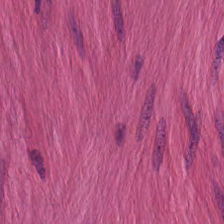H&E stain. FFPE.
Q: What is shown here?
A: The field shows muscularis.
